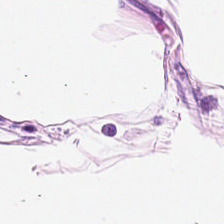H&E — Q: What type of tissue is this?
A: The field shows adipose.
